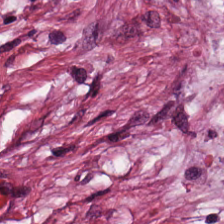H&E — Impression — desmoplastic stroma.
